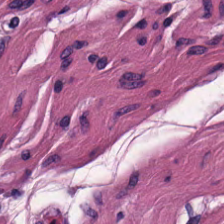The tissue here is smooth muscle.
